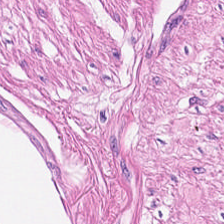224×224 pixel tile; H&E-stained tissue section; whole-slide-image patch. The classification is muscularis.
